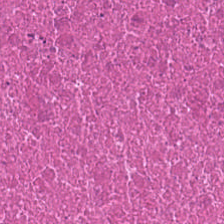Q: What does this patch show?
A: Debris.
